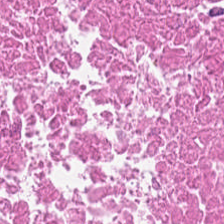Hematoxylin-and-eosin stained section. The predominant tissue is cellular debris.
